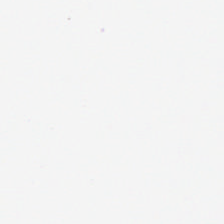H&E-stained tissue section. Content — background.
